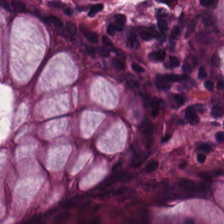H&E. Tissue = normal colon mucosa.
